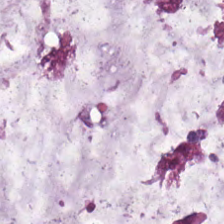H&E-stained tissue section.
The tissue here is mucus.
